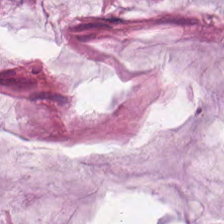0.5 µm/px; hematoxylin and eosin; 224×224 pixel tile — {"tissue_type": "mucus"}
